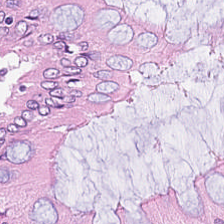H&E stain — The predominant tissue is benign colonic mucosa.
